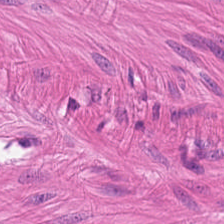H&E. This patch shows muscularis.
